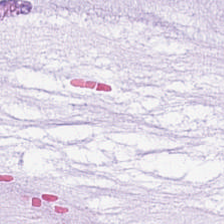Stain: hematoxylin-and-eosin stained section.
Tissue: mucin.
